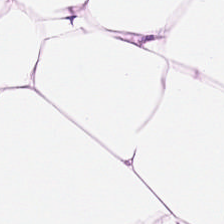H&E. Q: What is shown in this field?
A: It is adipose tissue.
